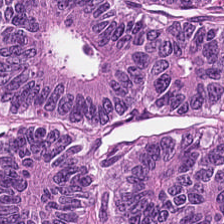Stain: H&E stain.
Predominant tissue: colorectal adenocarcinoma epithelium.
